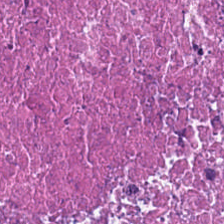H&E-stained tissue section.
{"tissue_type": "necrotic debris"}
